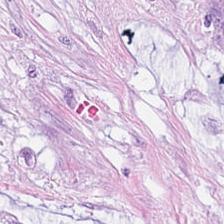Stain: hematoxylin-and-eosin stained section.
Tissue: extracellular mucin.
